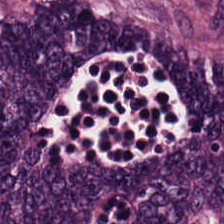FFPE tissue section; hematoxylin and eosin — Q: What is the predominant tissue type?
A: Malignant epithelium.
